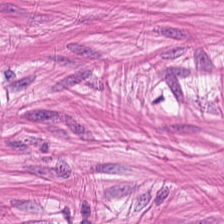Hematoxylin-and-eosin stained section.
This patch shows smooth-muscle tissue.
